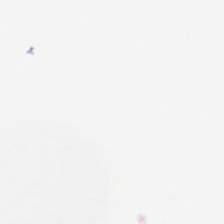0.5 µm per pixel. H&E-stained tissue section. No tissue present; background only.
